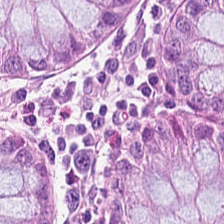Showing normal colonic mucosa.
